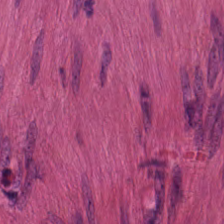Stain: H&E.
Classification: smooth-muscle tissue.
